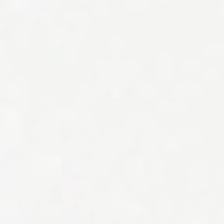H&E; 224×224 pixel tile; 0.5 µm/px. Q: Classify this patch.
A: No tissue.
